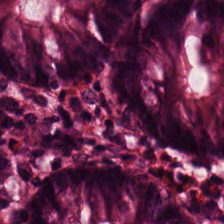224×224 px patch; hematoxylin and eosin; brightfield microscopy — This field is normal colonic mucosa.
